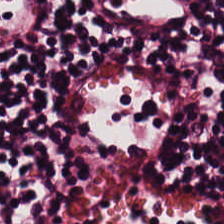Histology — lymphocytic infiltrate.
